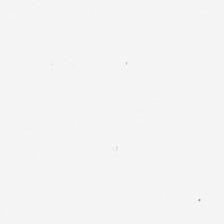Stain: H&E-stained tissue section.
Preparation: formalin-fixed paraffin-embedded section.
Field content: background (no tissue).
